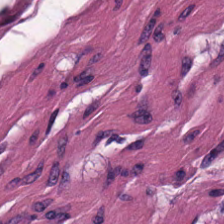Hematoxylin-and-eosin section: muscularis.
